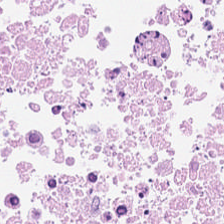H&E-stained tissue section.
Predominantly necrotic debris.
